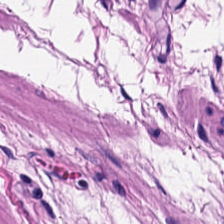Hematoxylin-and-eosin stained section. 224×224 px tile. Tissue — smooth-muscle tissue.
